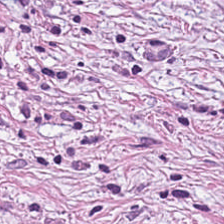WSI patch. 224×224 px patch. Hematoxylin and eosin — This field is tumor-associated stroma.
